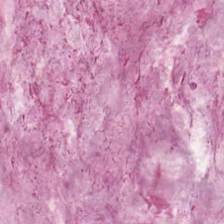H&E · FFPE tissue section.
This patch shows mucus.
